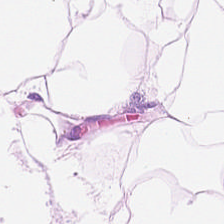WSI patch; H&E.
This field is adipose.
